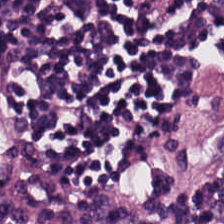Hematoxylin and eosin. The tissue here is lymphocytes.
